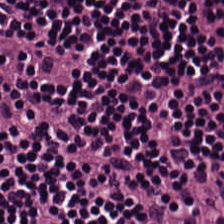Whole-slide-image patch; hematoxylin and eosin — Q: What does this patch show?
A: Lymphocytes.
